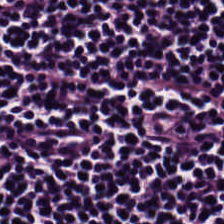Hematoxylin-and-eosin stained section — Q: What tissue is shown?
A: This is lymphocyte aggregate.
